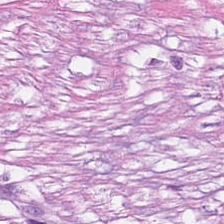Q: What does this patch show?
A: The field shows tumor-associated stroma.
